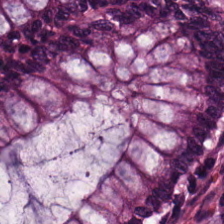Hematoxylin-and-eosin stained section; WSI patch; 0.5 microns per pixel. Q: Classify this patch.
A: Normal colon mucosa.
